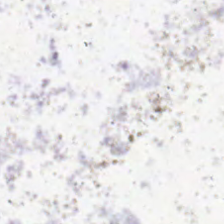Q: Classify this patch.
A: No tissue.
